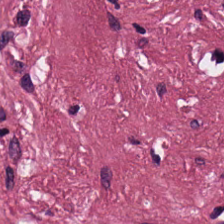Hematoxylin-and-eosin stained section — Q: What does this patch show?
A: This is tumor stroma.
